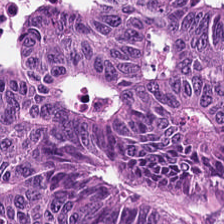Q: What tissue is shown?
A: Tumor epithelium.
